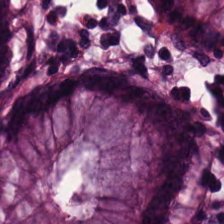Showing normal colon mucosa.
